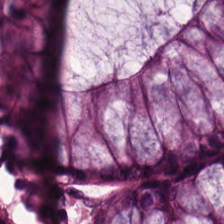Non-neoplastic colon mucosa.
